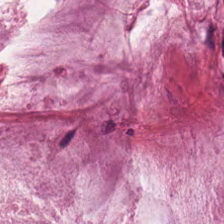Hematoxylin and eosin. This field is mucin.
